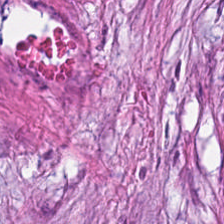Hematoxylin-and-eosin stained section.
Q: What does this patch show?
A: It is desmoplastic stroma.
